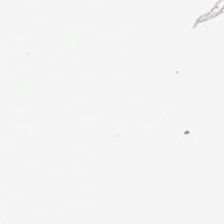0.5 µm/px. Hematoxylin-and-eosin stained section — Histology — no tissue.
